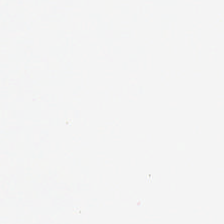H&E stain.
Histology → background.
